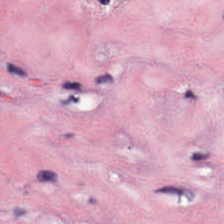Stain: hematoxylin and eosin.
Predominant tissue: desmoplastic stroma.
